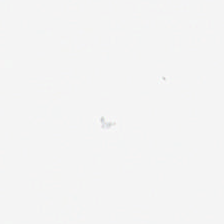0.5 µm per pixel · H&E · whole-slide-image patch.
Content = empty background.
